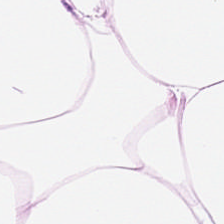H&E stain — Predominant tissue = adipocytes.
